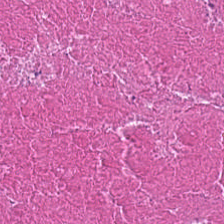Hematoxylin-and-eosin stained section. The tissue here is debris.
